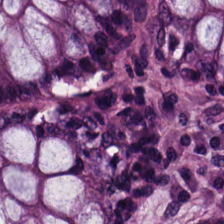H&E stain. Showing benign colonic mucosa.
